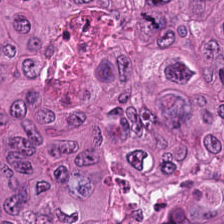Hematoxylin and eosin. {"tissue_type": "adenocarcinoma"}
